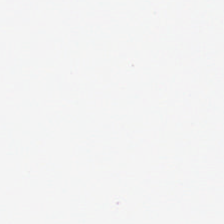224×224 px tile; FFPE; H&E — Field content = empty background.
